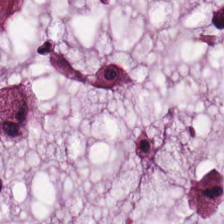Hematoxylin-and-eosin stained section — Tissue — mucin.
